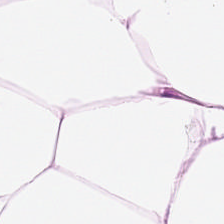Finding — fat tissue.
